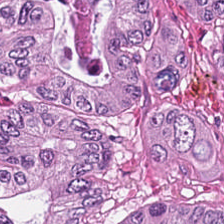0.5 µm per pixel; hematoxylin-and-eosin stained section. The tissue type is adenocarcinoma.
